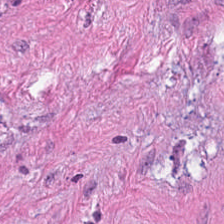H&E patch showing desmoplastic stroma.
